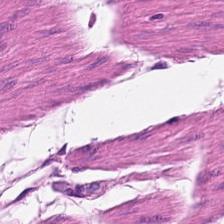Hematoxylin-and-eosin stained section · 0.5 µm/px.
Q: What tissue is shown?
A: This is smooth muscle.
